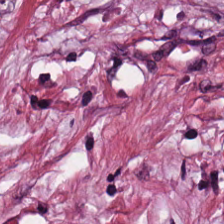Hematoxylin-and-eosin stained section.
The predominant tissue is tumor-associated stroma.
